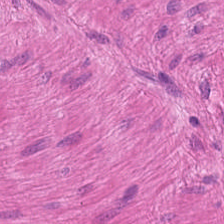Hematoxylin-and-eosin stained section. FFPE. Q: What is shown here?
A: Smooth muscle.
